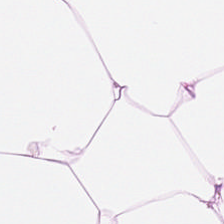H&E-stained tissue section.
Q: Classify this patch.
A: This is adipocytes.
